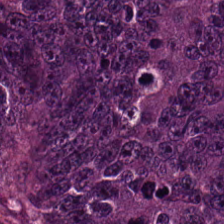224×224 px tile. H&E stain. 0.5 µm per pixel — Q: Classify this patch.
A: The field shows malignant epithelium.
